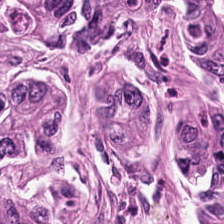Hematoxylin and eosin — The tissue type is tumor epithelium.
